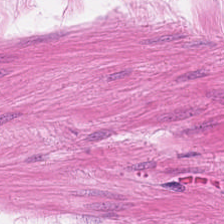Hematoxylin-and-eosin stained section · 0.5 µm per pixel — The tissue class is smooth muscle.
